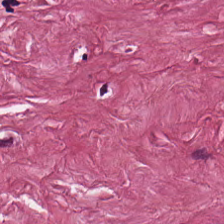Brightfield microscopy · H&E-stained tissue section · 0.5 µm per pixel. Q: What is shown here?
A: The field shows tumor-associated stroma.
